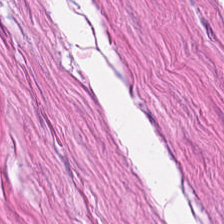Hematoxylin-and-eosin stained section · WSI patch. Smooth-muscle tissue.
